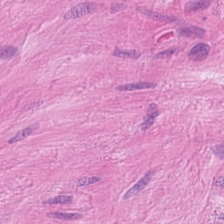H&E stain.
Tissue class — muscularis.
